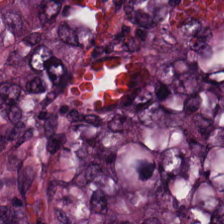Histology → adenocarcinoma.
